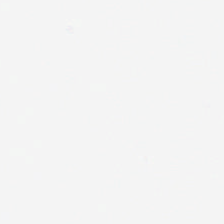The classification is no tissue.
